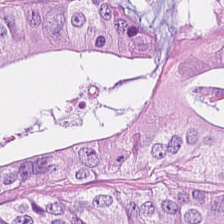H&E stain; 0.5 µm per pixel; FFPE tissue section. Predominant tissue: colorectal adenocarcinoma.
